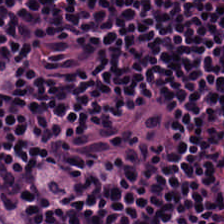Q: What is shown in this field?
A: Lymphocytic infiltrate.
